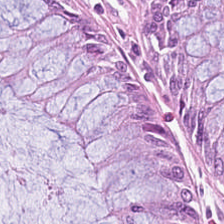H&E stain; 224×224 px tile — This patch shows non-neoplastic colon mucosa.
